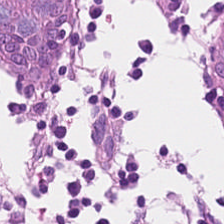Hematoxylin and eosin; 224×224 pixel tile — Predominantly normal colonic mucosa.
